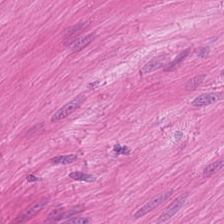0.5 µm/px. Hematoxylin-and-eosin stained section. 224×224 pixel tile.
Tissue class — smooth muscle.
